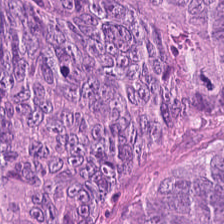FFPE; H&E-stained tissue section. Predominantly colorectal adenocarcinoma.
